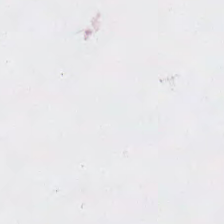Empty field — no tissue.
